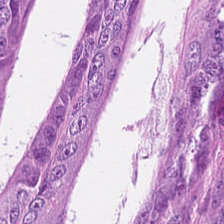Stain: hematoxylin and eosin.
Preparation: formalin-fixed paraffin-embedded section.
Resolution: 0.5 µm per pixel.
Classification: colorectal adenocarcinoma.
